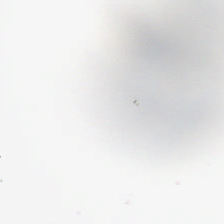H&E — Histology → background (no tissue).
